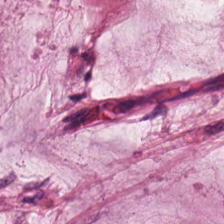0.5 µm/px. H&E stain.
The tissue here is mucin.
